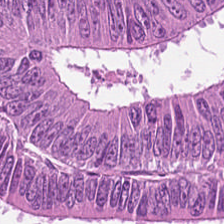H&E stain · 0.5 µm/px — Predominantly colorectal adenocarcinoma.
